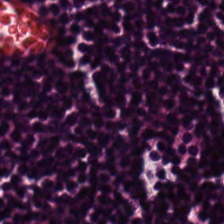The classification is lymphocyte aggregate.
